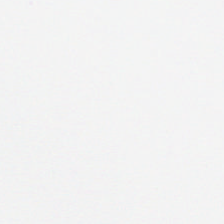Hematoxylin and eosin. Empty background.
